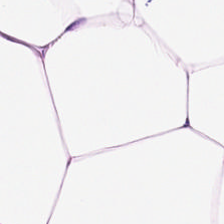Formalin-fixed paraffin-embedded section · H&E stain · WSI patch.
Adipose tissue.
